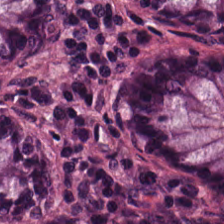0.5 µm/px. Hematoxylin-and-eosin stained section — Q: What is shown in this field?
A: This is non-neoplastic colon mucosa.
